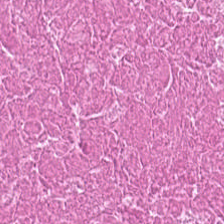Brightfield microscopy · hematoxylin-and-eosin stained section.
Predominantly necrotic debris.
